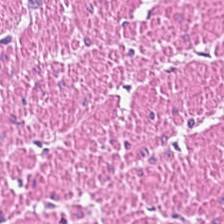H&E.
The tissue is smooth-muscle tissue.
